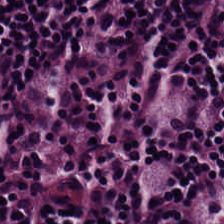Hematoxylin-and-eosin stained section — {"tissue_type": "lymphocyte aggregate"}
